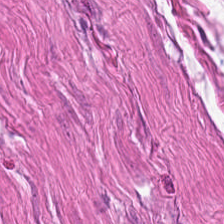H&E-stained tissue section. 0.5 µm/px — Smooth-muscle tissue.
